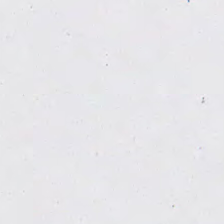Hematoxylin and eosin · 0.5 µm/px.
Classification — background (no tissue).
